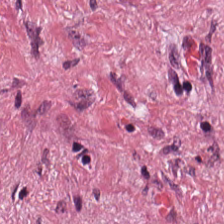H&E. Cancer-associated stroma.
